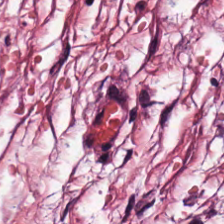This patch shows desmoplastic stroma.
